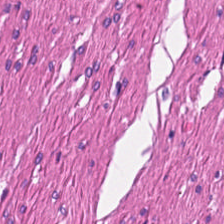Formalin-fixed paraffin-embedded section · H&E · 224×224 pixel tile.
Impression — smooth muscle.
